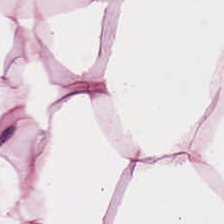FFPE tissue section · H&E. The predominant tissue is adipose.
